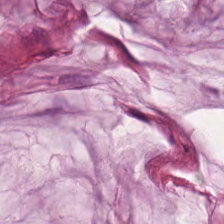Hematoxylin and eosin.
Predominantly mucus.
